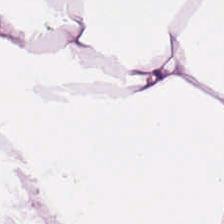FFPE; H&E.
Histology — adipose.
